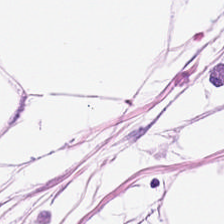Brightfield; H&E stain — Classification: fat tissue.
